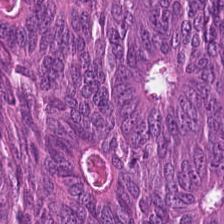H&E. Tissue type — tumor epithelium.
